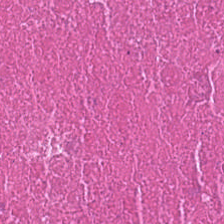Stain: H&E stain.
Classification: cellular debris.
